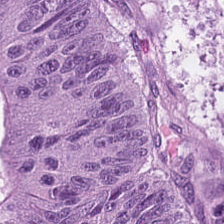H&E — Adenocarcinoma.
